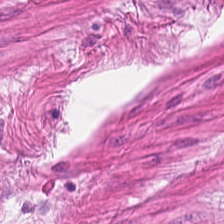0.5 microns per pixel · H&E stain. Q: What tissue is shown?
A: It is muscularis.
